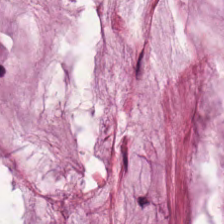Brightfield microscopy; FFPE; hematoxylin and eosin. Tissue type: extracellular mucin.
